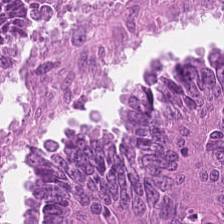H&E-stained tissue section.
Showing tumor epithelium.
